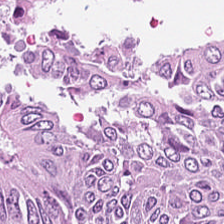Hematoxylin-and-eosin stained section.
Tissue = tumor epithelium.
